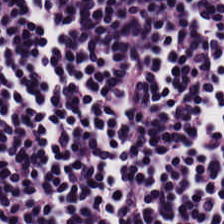FFPE tissue section; H&E; 224×224 px tile. Q: Identify the tissue.
A: The field shows lymphocytes.
